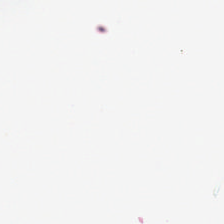Stain: hematoxylin and eosin.
Field content: no tissue.
